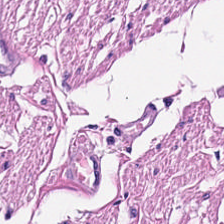Q: Identify the tissue.
A: Smooth-muscle tissue.
